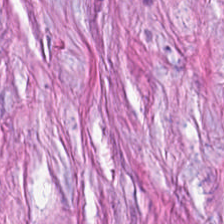Hematoxylin and eosin. {"tissue_type": "tumor stroma"}
